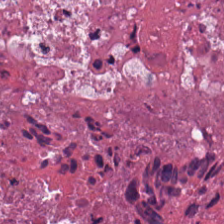Q: Identify the tissue.
A: This is cellular debris.
